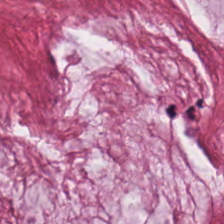H&E · 224×224 px tile — Tissue type = mucus.
